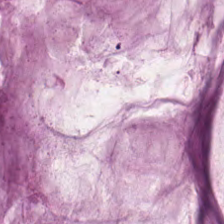Tissue type: mucin.
